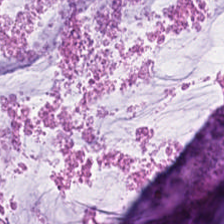H&E stain — Q: What tissue type is shown here?
A: The field shows mucus.
